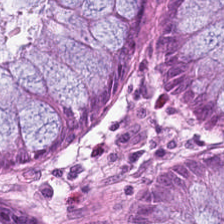20× equivalent magnification; H&E-stained tissue section.
The predominant tissue is non-neoplastic colon mucosa.
